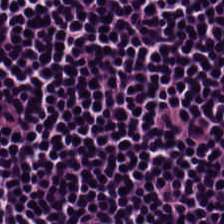Hematoxylin and eosin. Predominant tissue: lymphocytic infiltrate.
